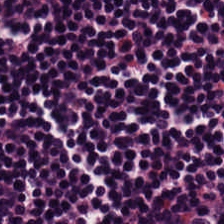H&E-stained tissue section · 224×224 pixel tile · 0.5 microns per pixel.
Tissue: lymphoid infiltrate.
